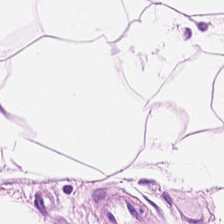H&E.
Adipose tissue.
